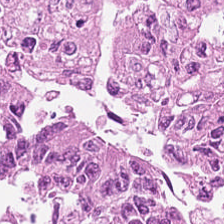H&E-stained tissue section — The tissue here is colorectal adenocarcinoma epithelium.
